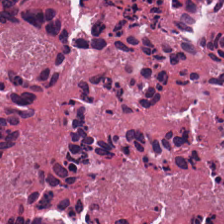Formalin-fixed paraffin-embedded section. 224×224 px patch. H&E-stained tissue section. Tissue class — cellular debris.
